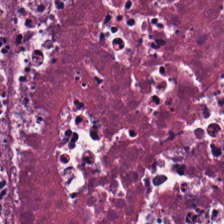Q: What is shown in this field?
A: Necrotic debris.
